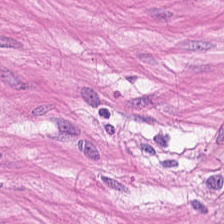Q: What is shown in this field?
A: Smooth muscle.
